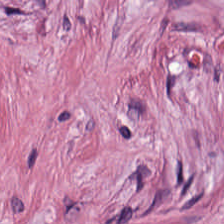Brightfield microscopy. Hematoxylin-and-eosin stained section. 224×224 px patch — Impression — desmoplastic stroma.
